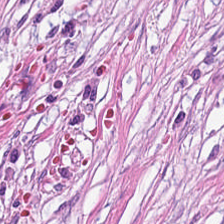Hematoxylin-and-eosin stained section. FFPE — The tissue here is desmoplastic stroma.
